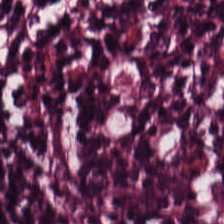Brightfield · H&E-stained tissue section.
Q: What tissue type is shown here?
A: Lymphocytes.
